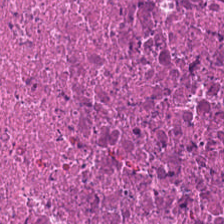H&E stain. Showing cellular debris.
